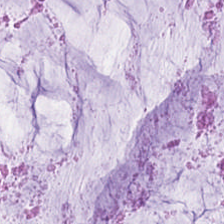Stain: H&E-stained tissue section.
Preparation: FFPE.
Tissue type: mucin.
